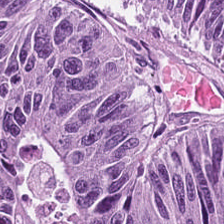Stain: H&E stain.
Acquisition: brightfield microscopy.
Preparation: FFPE.
Tissue type: malignant epithelium.
